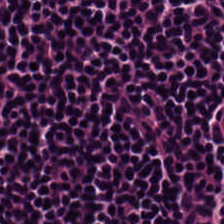Stain: H&E-stained tissue section.
Predominant tissue: lymphocytes.
